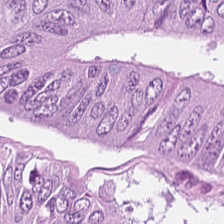H&E — Finding — malignant epithelium.
